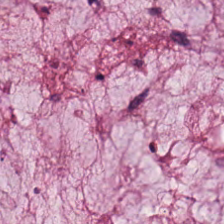Predominant tissue — mucus.
